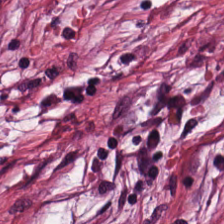H&E-stained tissue section — Predominant tissue: tumor-associated stroma.
